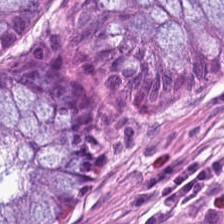Hematoxylin-and-eosin stained section.
Tissue — benign colonic mucosa.
